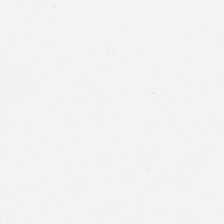224×224 px tile. H&E stain — Empty field — empty background.
